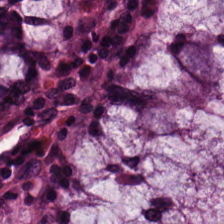H&E-stained tissue section — Predominant tissue — benign colonic mucosa.
